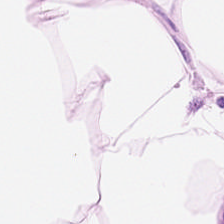FFPE · hematoxylin-and-eosin stained section · 224×224 px patch — The tissue is adipose tissue.
